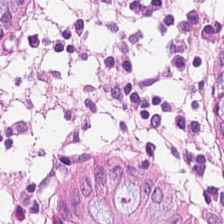The tissue here is normal colonic mucosa.
